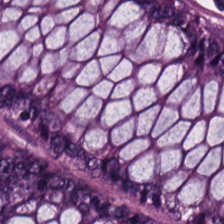0.5 µm/px; H&E stain.
Q: What tissue is shown?
A: This is non-neoplastic colon mucosa.
